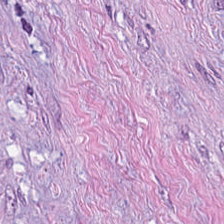FFPE tissue section · H&E stain — Cancer-associated stroma.
